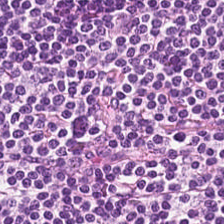Stain: H&E.
Resolution: 0.5 µm per pixel.
Tissue class: lymphocytes.
